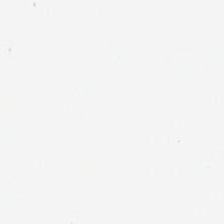H&E stain. WSI patch. 224×224 pixel tile.
This field is background (no tissue).
